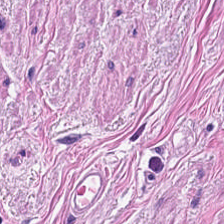Hematoxylin and eosin — Tissue: muscularis.
